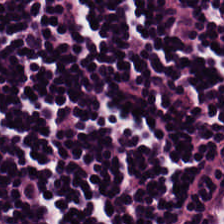Hematoxylin and eosin. The predominant tissue is lymphocyte aggregate.
